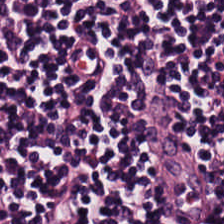H&E — This field is lymphoid infiltrate.
